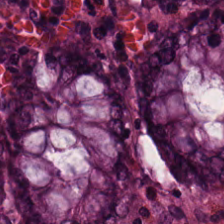Stain: H&E.
Tissue class: benign colonic mucosa.
